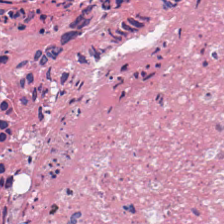FFPE tissue section; 0.5 µm per pixel; H&E — Q: Classify this patch.
A: This is cellular debris.
